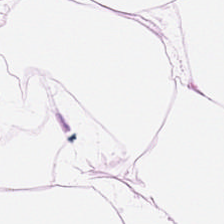H&E stain.
Predominantly adipocytes.
